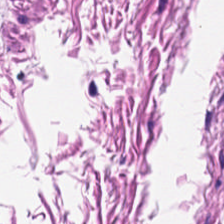Hematoxylin and eosin; 224×224 px patch.
Finding → smooth muscle.
